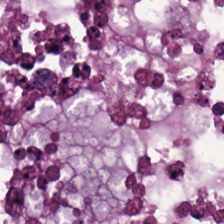H&E stain. Classification — adenocarcinoma.
